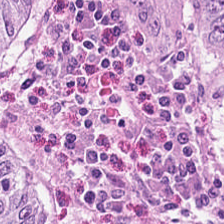224×224 px tile · H&E stain · 0.5 microns per pixel. Q: Identify the tissue.
A: It is colorectal adenocarcinoma.
